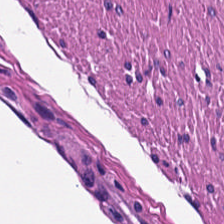0.5 µm per pixel · hematoxylin-and-eosin stained section · FFPE.
This patch shows muscularis.
